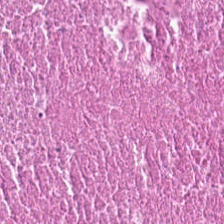WSI patch. Hematoxylin-and-eosin stained section — Showing necrotic debris.
